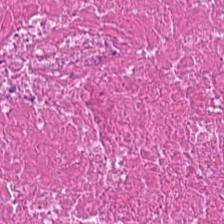Hematoxylin-and-eosin stained section. Q: What type of tissue is this?
A: It is debris.
